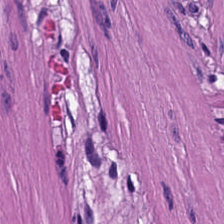Q: What is shown here?
A: Muscularis.
